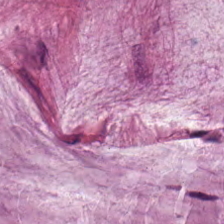224×224 px tile · H&E-stained tissue section. This field is mucin.
